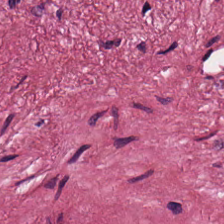Tissue class — tumor stroma.
